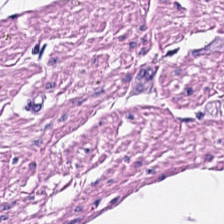H&E — Predominant tissue — smooth muscle.
